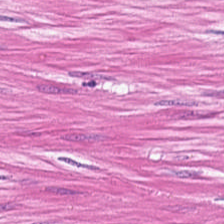Tissue class = muscularis.
